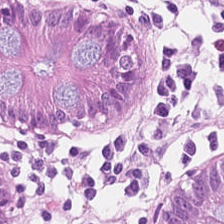H&E stain. WSI patch — The predominant tissue is normal colon mucosa.
